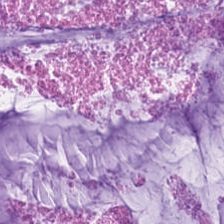H&E-stained tissue section.
Tissue — mucus.
